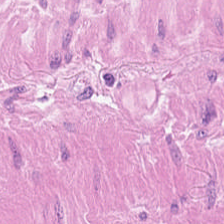H&E; 224×224 pixel tile. Finding — smooth-muscle tissue.
